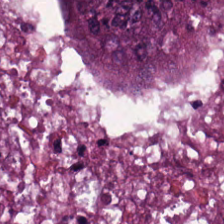Brightfield microscopy · hematoxylin-and-eosin stained section · FFPE tissue section.
The tissue here is colorectal adenocarcinoma epithelium.
